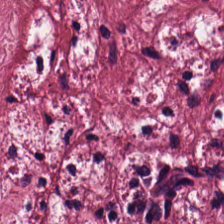H&E-stained tissue section.
Tissue class: tumor stroma.
